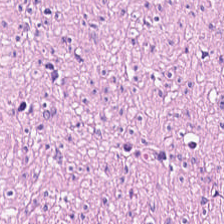Stain: H&E.
Predominant tissue: smooth-muscle tissue.
